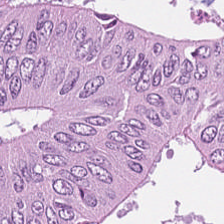Tissue class = malignant epithelium.
